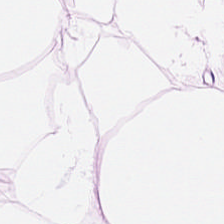Q: What is shown in this field?
A: The field shows adipose tissue.
